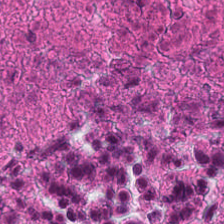Brightfield · hematoxylin and eosin. Showing debris.
